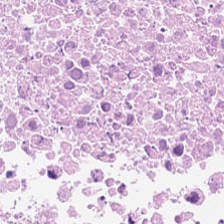Hematoxylin and eosin · brightfield. Impression — debris.
